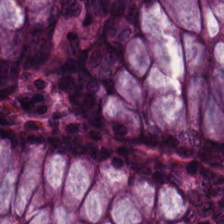H&E-stained tissue section.
The predominant tissue is non-neoplastic colon mucosa.
